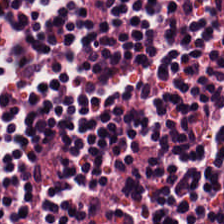H&E.
Tissue — lymphoid infiltrate.
